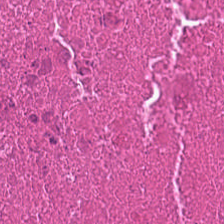FFPE tissue section; H&E — Predominantly debris.
